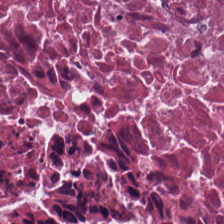H&E — The predominant tissue is necrotic debris.
